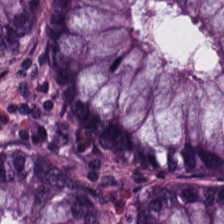{"tissue_type": "benign colonic mucosa"}
